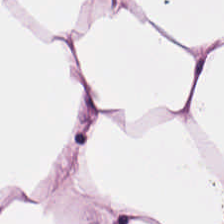Tissue type = adipocytes.
